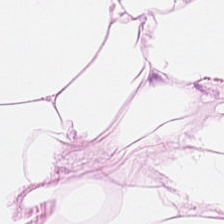224×224 px tile; hematoxylin-and-eosin stained section — This patch shows adipocytes.
